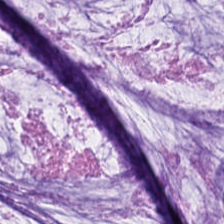H&E stain. Histology — extracellular mucin.
